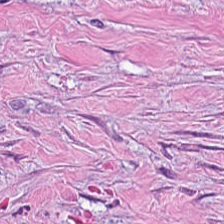H&E stain · formalin-fixed paraffin-embedded section.
Impression — tumor-associated stroma.
